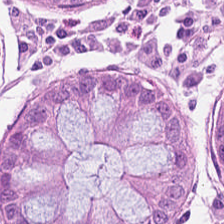Tissue type — non-neoplastic colon mucosa.
